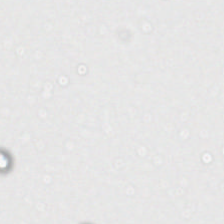H&E — Content — background.
